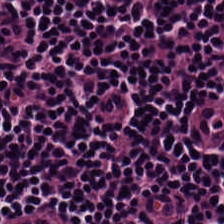{"tissue_type": "lymphocytes"}
